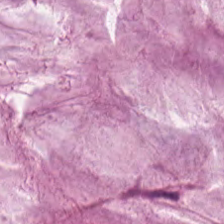Hematoxylin-and-eosin section: mucin.
